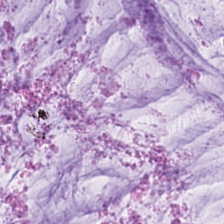Hematoxylin and eosin.
{"tissue_type": "extracellular mucin"}
